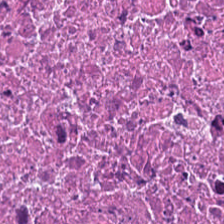Debris.
